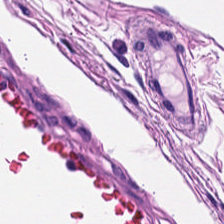Hematoxylin and eosin; formalin-fixed paraffin-embedded section. Q: What type of tissue is this?
A: This is muscularis.
